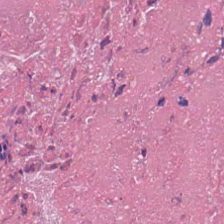The tissue is cellular debris.
